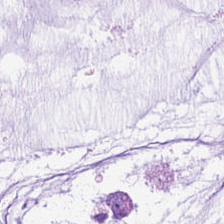H&E stain · formalin-fixed paraffin-embedded section. Predominant tissue — mucus.
